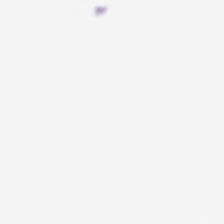Hematoxylin and eosin; brightfield; 0.5 µm per pixel — Q: What does this patch show?
A: It is background (no tissue).
